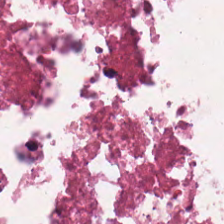H&E stain — Q: Classify this patch.
A: It is debris.
